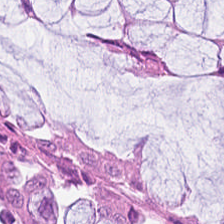H&E stain; 224×224 pixel tile; 0.5 microns per pixel — This field is benign colonic mucosa.
